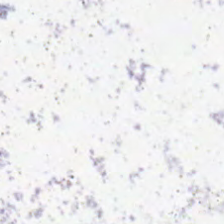WSI patch; H&E-stained tissue section. Q: Classify this patch.
A: The field shows background.
